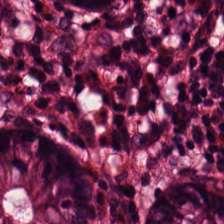Hematoxylin-and-eosin section: normal colon mucosa.
